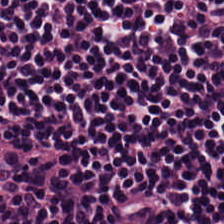{"tissue_type": "lymphocytic infiltrate"}
